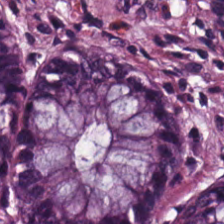0.5 µm/px · 224×224 pixel tile · H&E — Tissue — normal colon mucosa.
